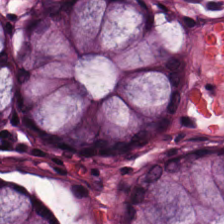H&E stain.
The predominant tissue is benign colonic mucosa.
